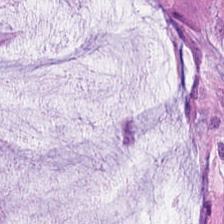H&E. Q: Identify the tissue.
A: This is mucin.
